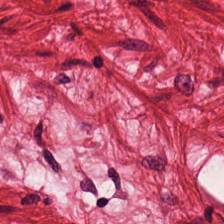H&E — Q: Classify this patch.
A: The field shows smooth-muscle tissue.
